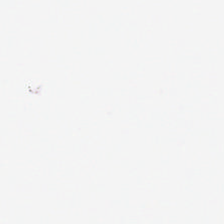FFPE tissue section · hematoxylin and eosin · 0.5 microns per pixel.
{"content": "no tissue"}
